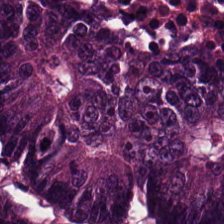Brightfield microscopy. Hematoxylin-and-eosin stained section. 224×224 pixel tile. Finding — adenocarcinoma.
